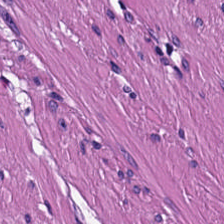Stain: H&E stain.
Preparation: FFPE.
Tile size: 224×224 px patch.
Tissue class: smooth muscle.
